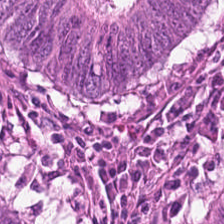Q: What is shown in this field?
A: It is colorectal adenocarcinoma.
